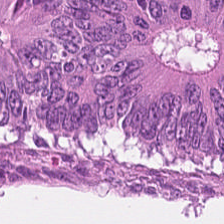H&E stain. Q: What tissue type is shown here?
A: Tumor epithelium.
